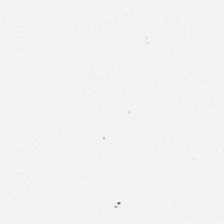Hematoxylin-and-eosin stained section; 224×224 px tile.
No tissue.
